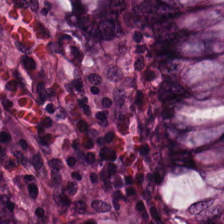224×224 px patch; hematoxylin and eosin — This patch shows benign colonic mucosa.
